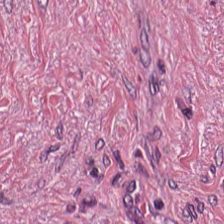Finding → tumor stroma.
